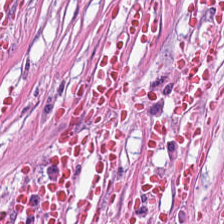Stain: H&E-stained tissue section.
Resolution: 0.5 microns per pixel.
Tile size: 224×224 px tile.
Predominant tissue: tumor stroma.
